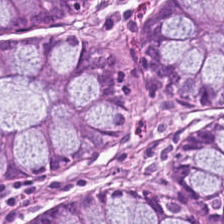H&E.
The classification is normal colon mucosa.
